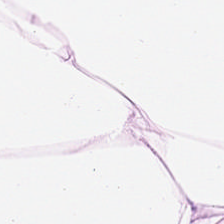H&E stain. {"tissue_type": "adipose"}
